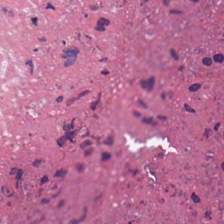Hematoxylin-and-eosin stained section. This field is necrotic debris.
